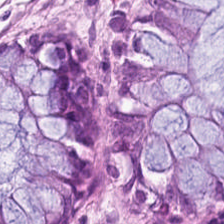The tissue here is normal colonic mucosa.
